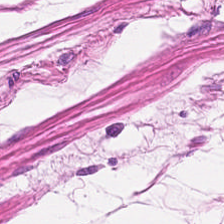Brightfield microscopy; H&E stain; FFPE tissue section.
The tissue class is muscularis.
